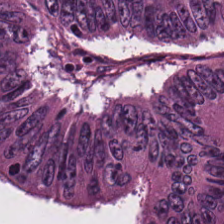Whole-slide-image patch · H&E stain. Q: What is shown here?
A: This is colorectal adenocarcinoma epithelium.
